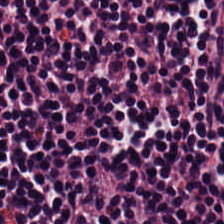H&E stain. Q: What is shown here?
A: The field shows lymphoid infiltrate.
